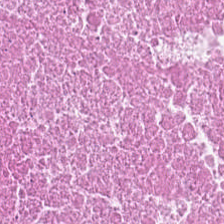{"tissue_type": "cellular debris"}
